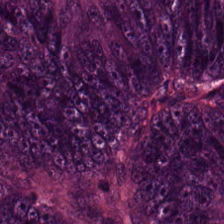H&E stain. {"tissue_type": "colorectal adenocarcinoma"}
